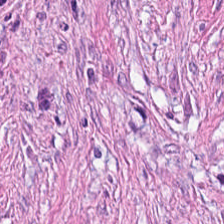Brightfield microscopy. H&E-stained tissue section. FFPE tissue section.
The predominant tissue is cancer-associated stroma.
